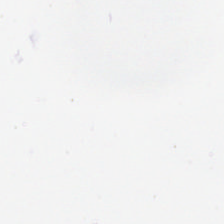H&E stain.
The field content is empty background.
